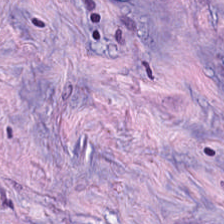H&E — tumor-associated stroma.
